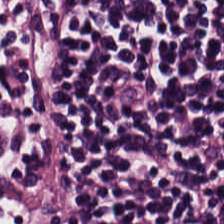Hematoxylin-and-eosin stained section — Histology — lymphocyte aggregate.
